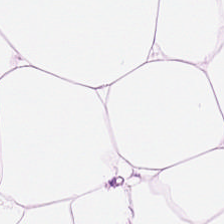WSI patch. 224×224 px patch. Hematoxylin-and-eosin stained section — Tissue type = adipose tissue.
